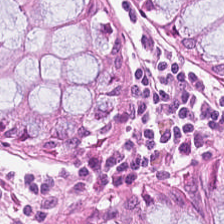Hematoxylin and eosin · 0.5 microns per pixel · 224×224 px tile.
The tissue here is normal colonic mucosa.
